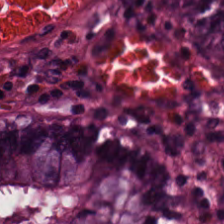Stain: H&E stain.
Tissue type: benign colonic mucosa.
